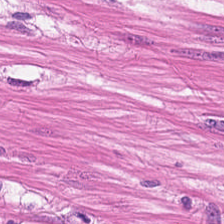Hematoxylin and eosin — Tissue = smooth muscle.
